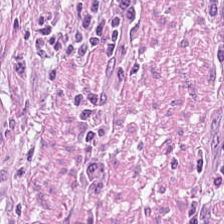0.5 microns per pixel · H&E-stained tissue section. {"tissue_type": "desmoplastic stroma"}
